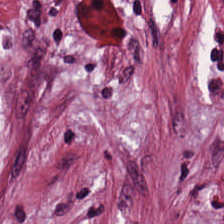H&E. WSI patch.
Predominant tissue — desmoplastic stroma.
